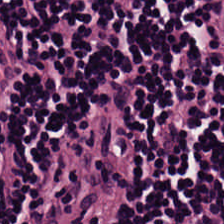Hematoxylin and eosin.
This field is lymphocytic infiltrate.
